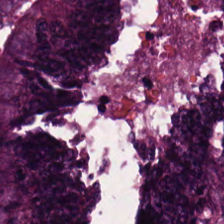Tissue type — adenocarcinoma.
